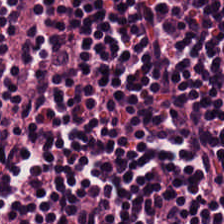{"tissue_type": "lymphoid infiltrate"}
